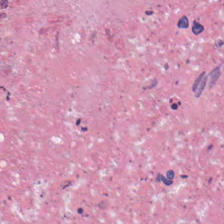H&E.
Predominantly cellular debris.
